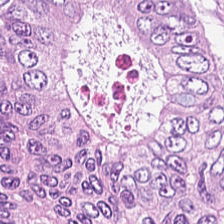WSI patch. H&E stain. Predominant tissue — adenocarcinoma.
